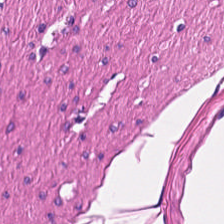This field is smooth-muscle tissue.
